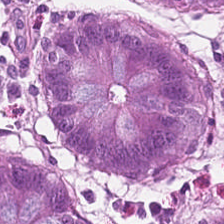{"tissue_type": "non-neoplastic colon mucosa"}
